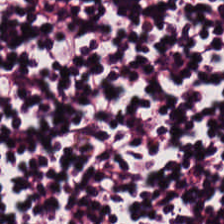H&E-stained tissue section. Finding → lymphoid infiltrate.
